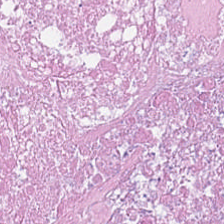H&E-stained tissue section.
The tissue class is necrotic debris.
